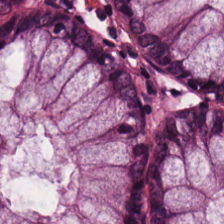Hematoxylin and eosin. Benign colonic mucosa.
